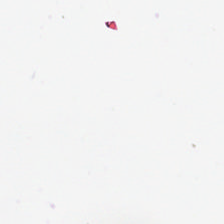H&E stain · 20× equivalent magnification — This field is background (no tissue).
